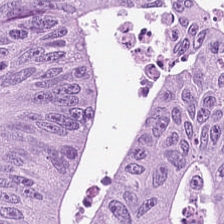Stain: hematoxylin and eosin.
Tissue type: malignant epithelium.
